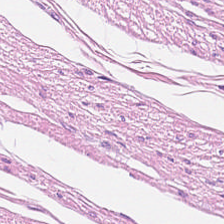Hematoxylin and eosin. Q: What is the predominant tissue type?
A: This is muscularis.
